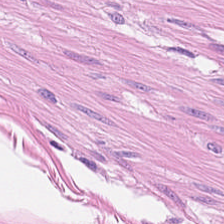Showing smooth-muscle tissue.
